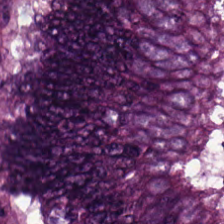Stain: H&E.
Classification: malignant epithelium.
